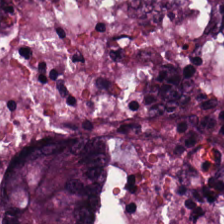224×224 px patch · 0.5 µm/px · H&E — This patch shows malignant epithelium.
